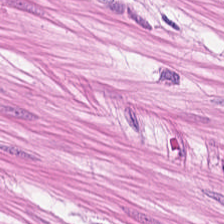FFPE · hematoxylin and eosin · brightfield. Tissue: smooth muscle.
